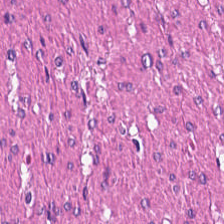Hematoxylin and eosin; brightfield.
Predominant tissue: muscularis.
